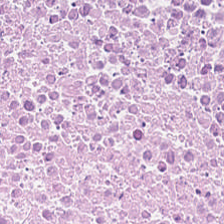Q: What type of tissue is this?
A: It is cellular debris.
